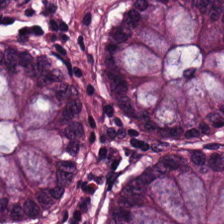224×224 px patch. H&E stain — This patch shows benign colonic mucosa.
